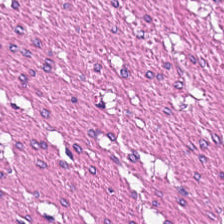Hematoxylin and eosin · whole-slide-image patch · 0.5 µm/px — Finding → smooth muscle.
